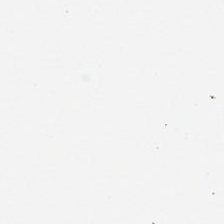H&E stain; 0.5 microns per pixel.
This patch shows empty background.
